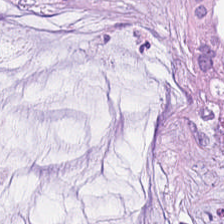H&E-stained tissue section — The tissue is mucus.
